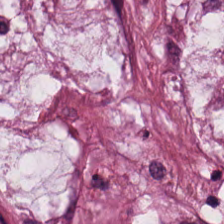Hematoxylin-and-eosin stained section · 224×224 px tile — Impression — extracellular mucin.
